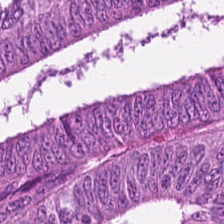Stain: hematoxylin and eosin.
Tissue class: adenocarcinoma.
